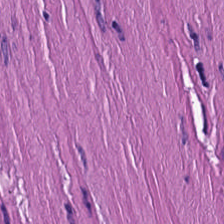H&E.
Histology → smooth-muscle tissue.
